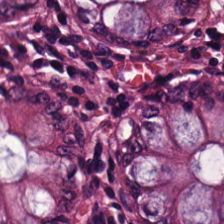Tissue type = normal colon mucosa.
